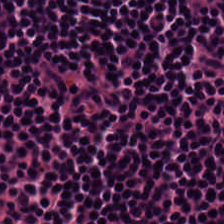Tissue — lymphocytic infiltrate.
